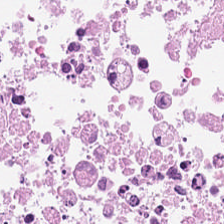Hematoxylin and eosin.
This patch shows debris.
